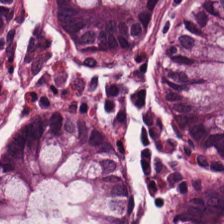Stain: hematoxylin-and-eosin stained section.
Classification: benign colonic mucosa.
